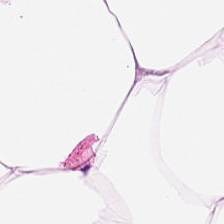H&E. Histology → adipocytes.
